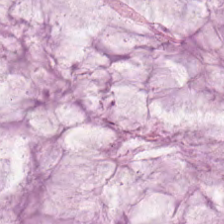H&E-stained tissue section showing mucus.
